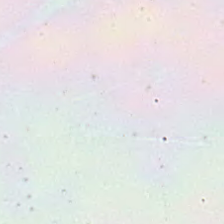FFPE. 224×224 px tile. Hematoxylin-and-eosin stained section. This patch shows no tissue.
